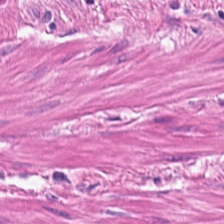Stain: hematoxylin-and-eosin stained section.
Tissue: muscularis.
